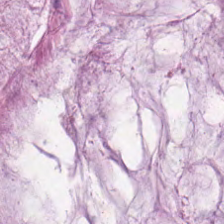H&E-stained tissue section — Histology — mucus.
